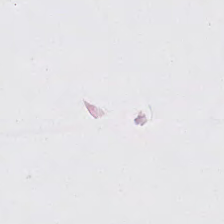Q: Classify this patch.
A: Empty background.
